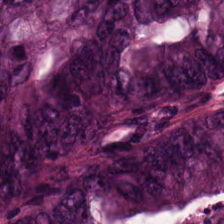Hematoxylin-and-eosin stained section. Q: What is the predominant tissue type?
A: It is tumor epithelium.
